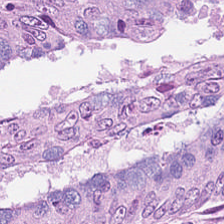Colorectal adenocarcinoma epithelium.
